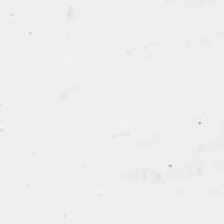Q: What is shown here?
A: No tissue.
